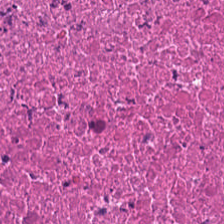Stain: hematoxylin-and-eosin stained section.
Tissue class: debris.
